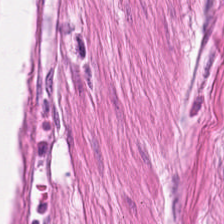Impression — muscularis.
